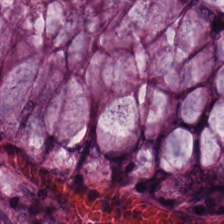H&E stain — This patch shows non-neoplastic colon mucosa.
